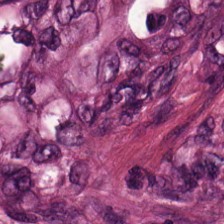Hematoxylin and eosin.
The predominant tissue is tumor stroma.
